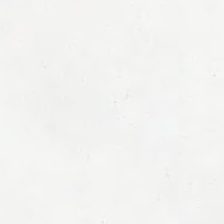Hematoxylin-and-eosin stained section; formalin-fixed paraffin-embedded section; 224×224 px patch. This patch shows background (no tissue).
